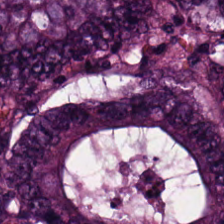H&E.
Tissue — colorectal adenocarcinoma epithelium.
